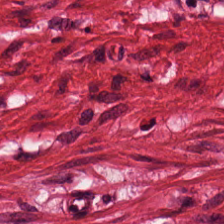FFPE; H&E-stained tissue section.
Finding → muscularis.
